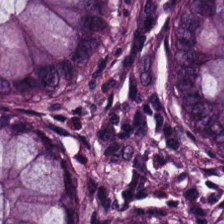Brightfield. H&E. FFPE — Showing benign colonic mucosa.
